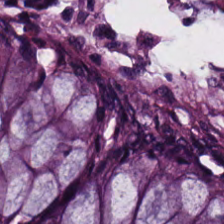Hematoxylin-and-eosin stained section.
Q: What type of tissue is this?
A: It is normal colonic mucosa.
